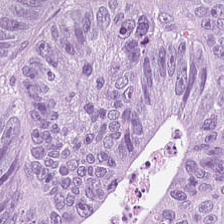The tissue here is colorectal adenocarcinoma epithelium.
